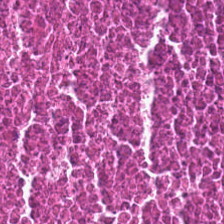Finding — necrotic debris.
